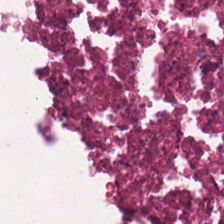H&E stain. Q: What tissue type is shown here?
A: This is debris.
